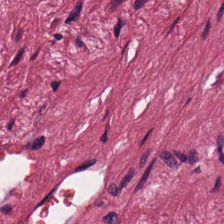H&E.
Q: What type of tissue is this?
A: It is tumor-associated stroma.
